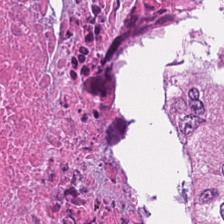H&E-stained section; the field shows cellular debris.
